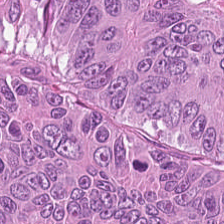H&E.
Histology → malignant epithelium.
